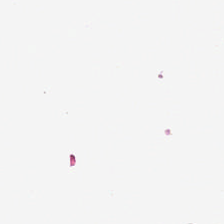H&E · 224×224 px tile · 0.5 microns per pixel — {"content": "empty background"}
